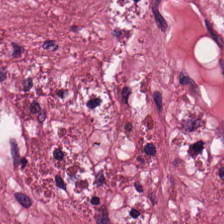Stain: H&E-stained tissue section.
Resolution: 20× equivalent magnification.
Predominant tissue: tumor stroma.
